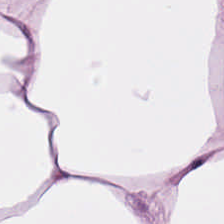224×224 px tile; H&E-stained tissue section — Finding — fat tissue.
